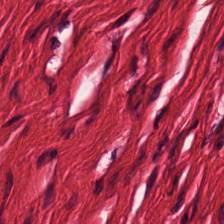H&E stain.
Predominant tissue = smooth muscle.
